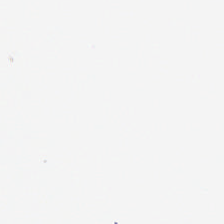20× equivalent magnification; H&E stain; WSI patch. This field is background (no tissue).
